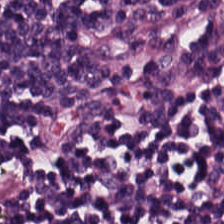H&E-stained tissue section. The tissue here is lymphocyte aggregate.
